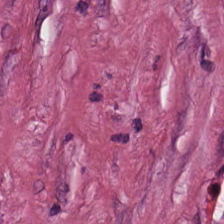Hematoxylin and eosin — Q: What is shown here?
A: The field shows cancer-associated stroma.
